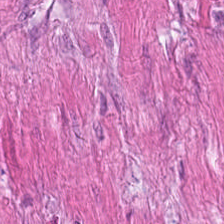Hematoxylin and eosin.
The classification is smooth muscle.
